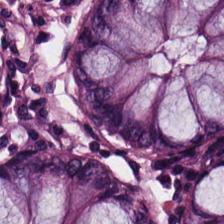H&E. Q: Classify this patch.
A: Benign colonic mucosa.
